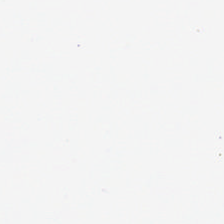H&E stain. No tissue present; background only.
